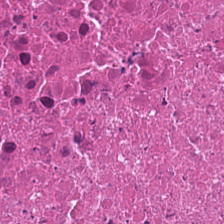0.5 microns per pixel. Brightfield. Hematoxylin-and-eosin stained section — The predominant tissue is necrotic debris.
